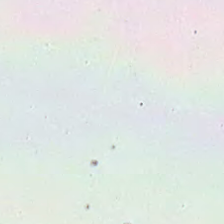Hematoxylin and eosin — This patch shows no tissue.
